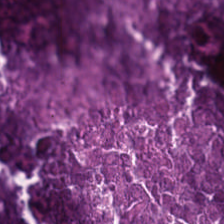Hematoxylin and eosin · WSI patch · 0.5 microns per pixel. The predominant tissue is debris.
